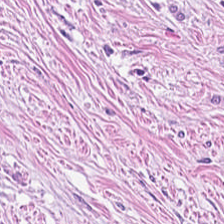0.5 µm per pixel; WSI patch; hematoxylin-and-eosin stained section. Q: What is the predominant tissue type?
A: This is desmoplastic stroma.
